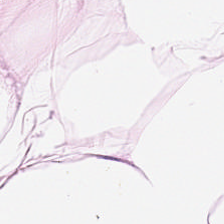H&E-stained tissue section; 20× equivalent magnification — This field is fat tissue.
